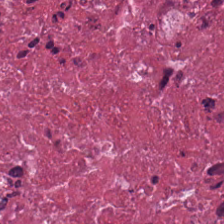Hematoxylin and eosin — This patch shows debris.
